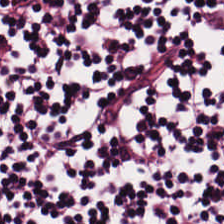FFPE tissue section. H&E.
Showing lymphoid infiltrate.
